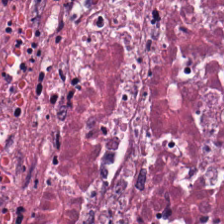H&E stain.
Predominantly necrotic debris.
